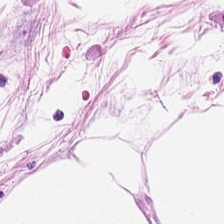0.5 µm per pixel; 224×224 pixel tile; hematoxylin and eosin. Adipocytes.
